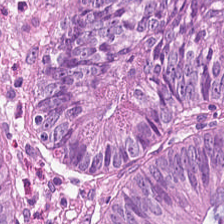Brightfield; H&E.
The predominant tissue is colorectal adenocarcinoma epithelium.
